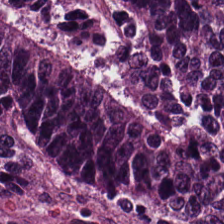Q: What tissue type is shown here?
A: Tumor epithelium.
